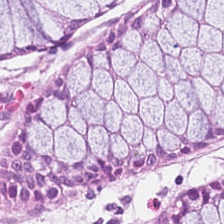Hematoxylin and eosin. Whole-slide-image patch.
The tissue type is non-neoplastic colon mucosa.
